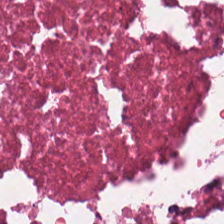H&E — Classification: cellular debris.
